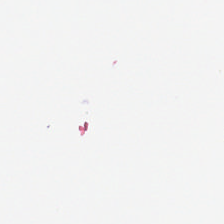H&E.
Histology → background (no tissue).
